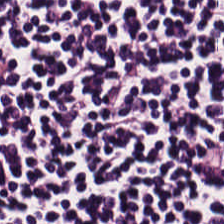H&E-stained tissue section. The predominant tissue is lymphocytic infiltrate.
